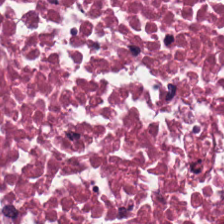Predominant tissue: necrotic debris.
